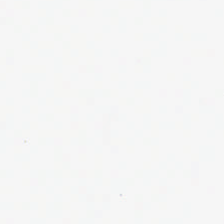H&E-stained tissue section.
Content — background (no tissue).
